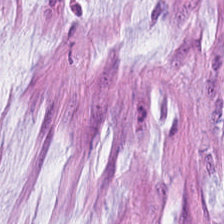Stain: hematoxylin and eosin.
Tissue: mucin.
